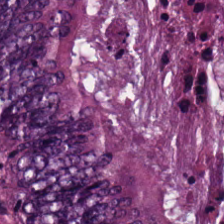H&E-stained tissue section showing malignant epithelium.
